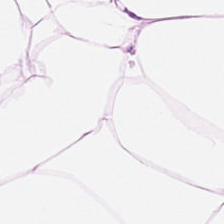Stain: H&E stain.
Predominant tissue: adipose tissue.
